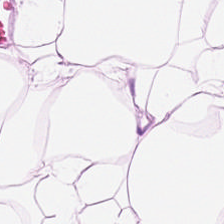224×224 px tile. H&E.
Tissue class: adipose.
